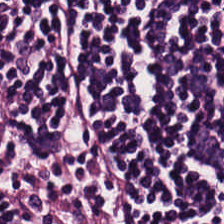Hematoxylin and eosin. Finding — lymphocyte aggregate.
